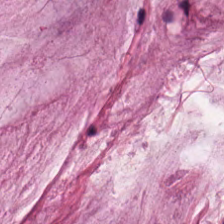Stain: H&E.
Tissue: mucin.
